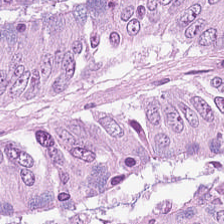Q: What type of tissue is this?
A: It is colorectal adenocarcinoma epithelium.
